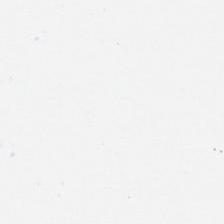Stain: H&E stain.
Content: empty background.
